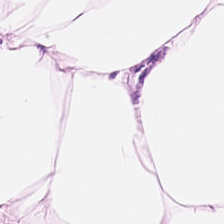Stain: H&E stain.
Acquisition: whole-slide-image patch.
Tissue: adipose tissue.
